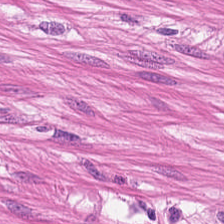Q: Classify this patch.
A: The field shows smooth-muscle tissue.
